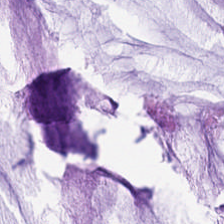Impression → mucus.
